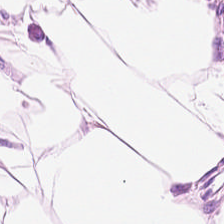Hematoxylin-and-eosin stained section · 224×224 pixel tile — Tissue type = adipocytes.
